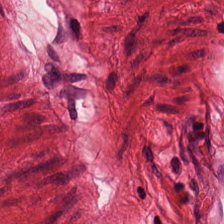H&E — Predominantly smooth-muscle tissue.
